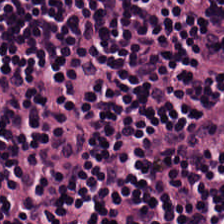Brightfield · 224×224 px tile · hematoxylin-and-eosin stained section.
The tissue here is lymphocytes.
